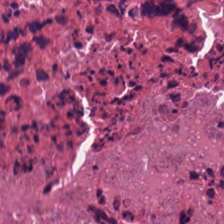Stain: H&E-stained tissue section.
Predominant tissue: debris.
